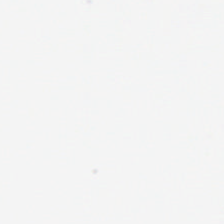Field content = background (no tissue).
